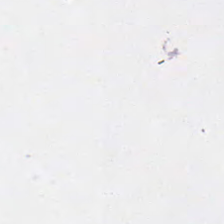Formalin-fixed paraffin-embedded section · 224×224 px tile · hematoxylin and eosin. Background — no tissue in this field.
